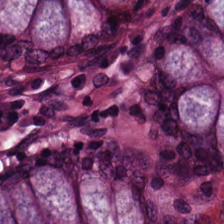Hematoxylin-and-eosin section: non-neoplastic colon mucosa.
